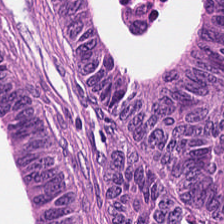H&E-stained tissue section.
Predominant tissue = adenocarcinoma.
